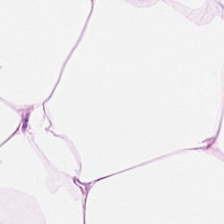H&E.
Classification — adipose.
